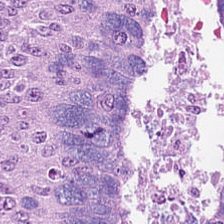Hematoxylin and eosin. 20× equivalent magnification — The predominant tissue is colorectal adenocarcinoma epithelium.
